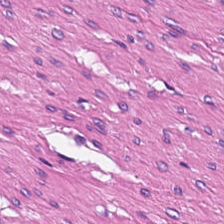224×224 px patch. Brightfield microscopy. Hematoxylin-and-eosin stained section — Q: Classify this patch.
A: This is smooth-muscle tissue.
